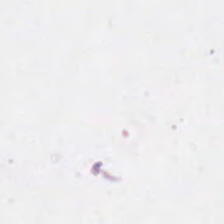Finding — no tissue.
